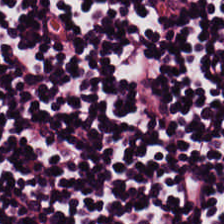Showing lymphocyte aggregate.
